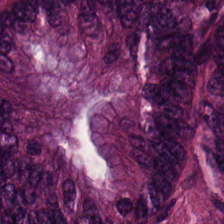FFPE. Hematoxylin and eosin.
Q: What is shown in this field?
A: It is malignant epithelium.
